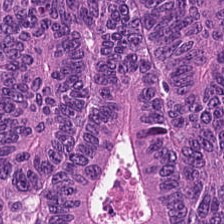Stain: H&E.
Acquisition: WSI patch.
Resolution: 20× equivalent magnification.
Classification: adenocarcinoma.
